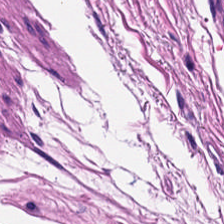224×224 px tile; H&E-stained tissue section.
Q: What type of tissue is this?
A: Smooth-muscle tissue.
